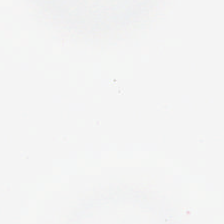Hematoxylin and eosin — Q: What is shown here?
A: The field shows background (no tissue).
